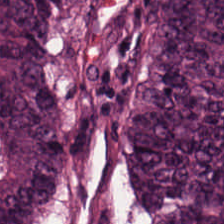H&E stain. The predominant tissue is tumor epithelium.
